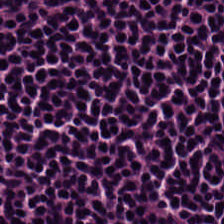FFPE tissue section; hematoxylin-and-eosin stained section. Q: Identify the tissue.
A: Lymphocytes.
